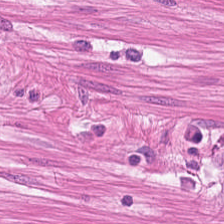H&E-stained tissue section. FFPE tissue section. 224×224 pixel tile.
Predominantly smooth muscle.
